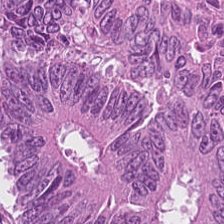FFPE tissue section. H&E stain. Predominant tissue = tumor epithelium.
